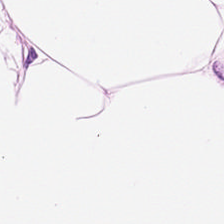Hematoxylin-and-eosin stained section. Histology — adipose.
